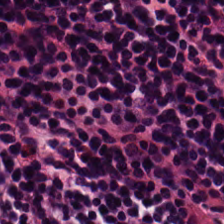Hematoxylin and eosin — This patch shows lymphocyte aggregate.
